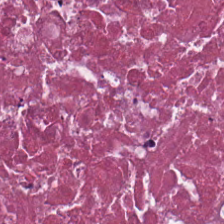H&E patch showing cellular debris.
